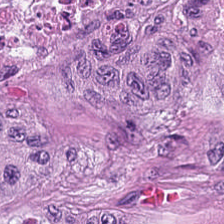Hematoxylin and eosin. 224×224 px patch.
Impression — colorectal adenocarcinoma.
